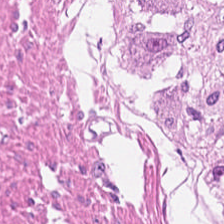Stain: H&E-stained tissue section.
Tissue: muscularis.
